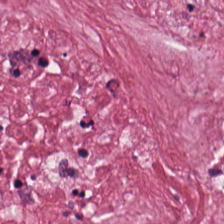H&E stain; FFPE.
Impression → tumor stroma.
